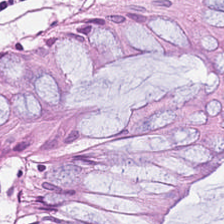H&E stain — The tissue is benign colonic mucosa.
